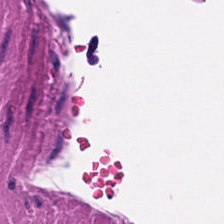Brightfield microscopy. H&E. Impression → muscularis.
